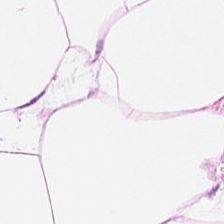H&E stain · whole-slide-image patch · formalin-fixed paraffin-embedded section — Q: What is shown in this field?
A: It is adipocytes.
